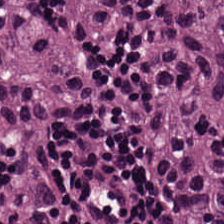Q: What does this patch show?
A: Malignant epithelium.
